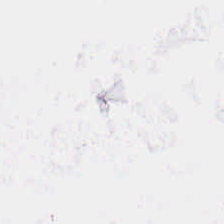0.5 µm per pixel · H&E stain.
Q: What does this patch show?
A: Background.
